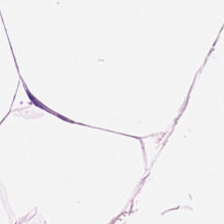This patch shows adipose tissue.
